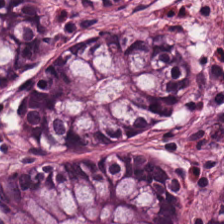Hematoxylin-and-eosin stained section — Tissue class — normal colon mucosa.
